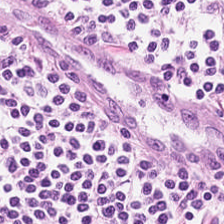224×224 px tile; H&E stain; 0.5 microns per pixel.
Tissue class: lymphocytes.
